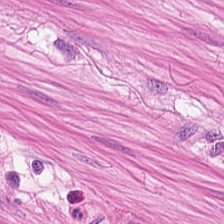This field is muscularis.
